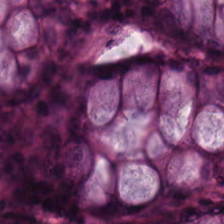Hematoxylin-and-eosin stained section.
The predominant tissue is normal colon mucosa.
